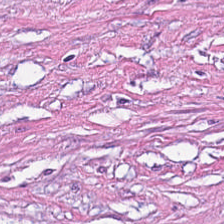H&E-stained tissue section showing tumor-associated stroma.
